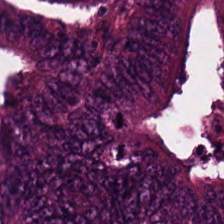Hematoxylin and eosin.
The predominant tissue is tumor epithelium.
